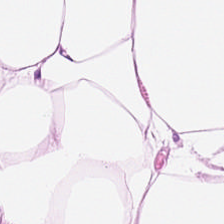Finding → adipose.
